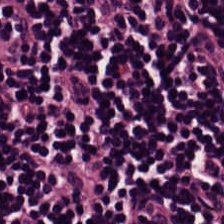H&E.
This patch shows lymphocyte aggregate.
